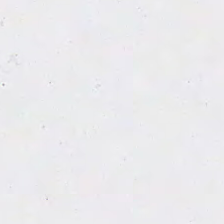Hematoxylin and eosin.
Finding → background (no tissue).
